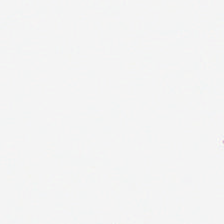The classification is background.
